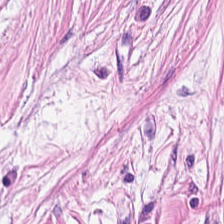Stain: H&E.
Tile size: 224×224 px patch.
Tissue type: cancer-associated stroma.
